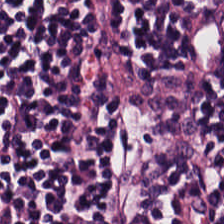H&E-stained tissue section — Tissue class — lymphoid infiltrate.
